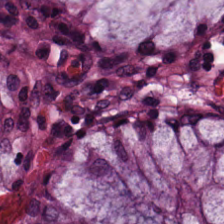Hematoxylin-and-eosin stained section · 0.5 µm per pixel. Q: What does this patch show?
A: Benign colonic mucosa.
